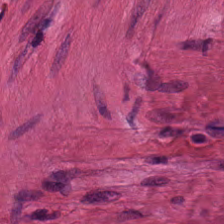This patch shows smooth-muscle tissue.
